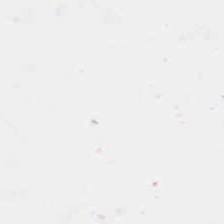Formalin-fixed paraffin-embedded section. H&E — No tissue.
